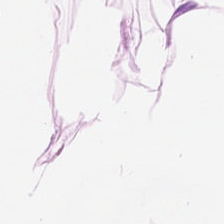Hematoxylin-and-eosin stained section; whole-slide-image patch. This patch shows fat tissue.
